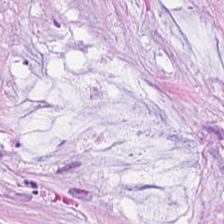Stain: hematoxylin and eosin.
Classification: extracellular mucin.
